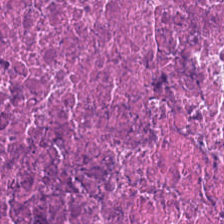FFPE tissue section; H&E stain. The classification is cellular debris.
